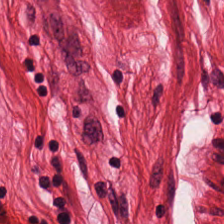Hematoxylin and eosin. Q: What type of tissue is this?
A: It is smooth muscle.
